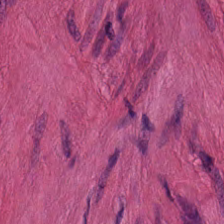Hematoxylin-and-eosin section: smooth muscle.
